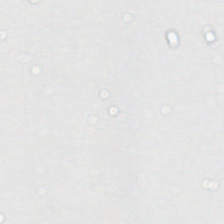FFPE. H&E stain. Classification — background (no tissue).
